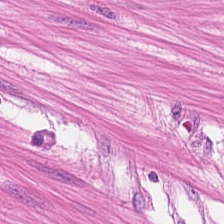H&E; formalin-fixed paraffin-embedded section; 224×224 px patch — Q: What is the predominant tissue type?
A: The field shows smooth-muscle tissue.
